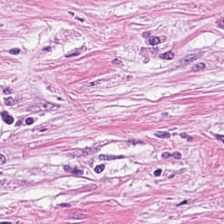0.5 µm per pixel. H&E-stained tissue section — Predominant tissue — tumor stroma.
